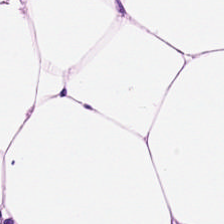Stain: H&E stain.
Tissue class: adipose tissue.
